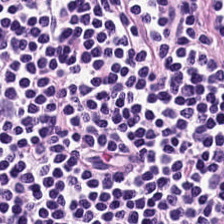The tissue here is lymphocyte aggregate.
